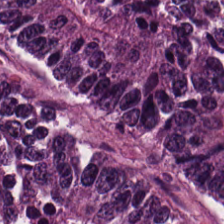Tissue type — tumor epithelium.
